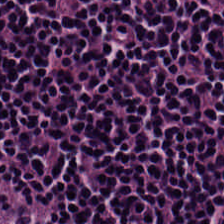H&E stain. The tissue is lymphocytes.
